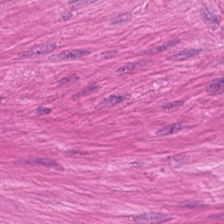The tissue type is smooth muscle.
